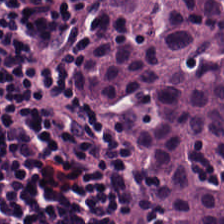Finding — lymphoid infiltrate.
